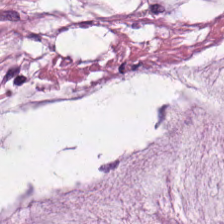Formalin-fixed paraffin-embedded section. WSI patch. H&E.
Q: Identify the tissue.
A: The field shows mucin.
